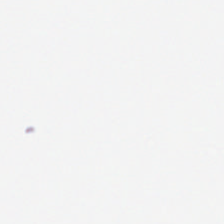0.5 µm/px. Hematoxylin-and-eosin stained section. 224×224 px tile. Q: What does this patch show?
A: Empty background.
